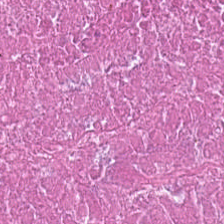H&E stain.
The predominant tissue is cellular debris.
